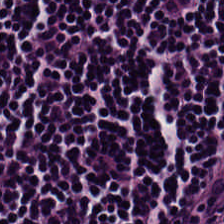Q: What is shown here?
A: The field shows lymphocytes.
